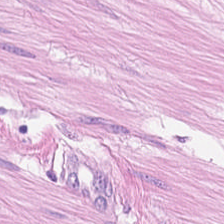H&E stain — Q: What tissue is shown?
A: It is smooth-muscle tissue.
